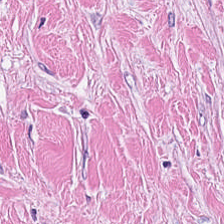H&E-stained tissue section; FFPE. The predominant tissue is tumor stroma.
